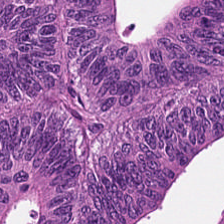Whole-slide-image patch. Hematoxylin and eosin. Q: Classify this patch.
A: Adenocarcinoma.
